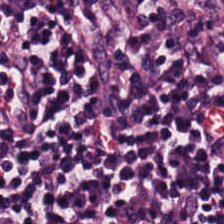224×224 pixel tile · 0.5 microns per pixel · H&E. This field is lymphocyte aggregate.
